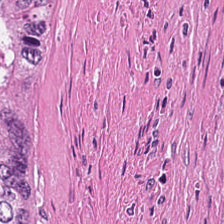Hematoxylin and eosin. {"tissue_type": "necrotic debris"}
